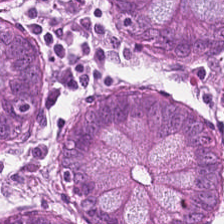Stain: hematoxylin and eosin.
Tissue: benign colonic mucosa.
